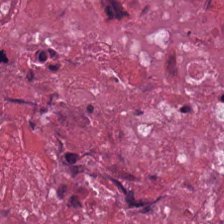Stain: H&E stain.
Acquisition: brightfield.
Tile size: 224×224 px tile.
Classification: cellular debris.
